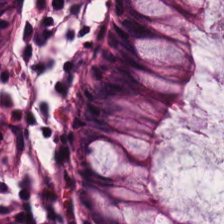Hematoxylin-and-eosin stained section; 20× equivalent magnification. Finding → normal colon mucosa.
